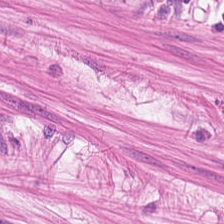WSI patch; 0.5 µm/px; H&E stain — Tissue = muscularis.
